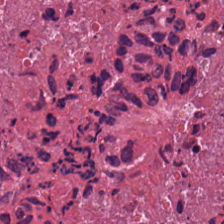H&E stain · 20× equivalent magnification · 224×224 px patch.
Debris.
